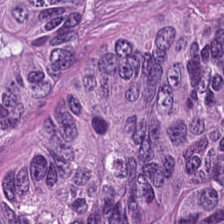Hematoxylin and eosin — Finding → tumor epithelium.
